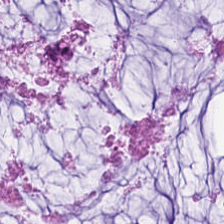0.5 microns per pixel. Hematoxylin and eosin.
{"tissue_type": "mucin"}
